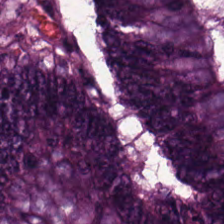0.5 microns per pixel · H&E. This field is colorectal adenocarcinoma epithelium.
